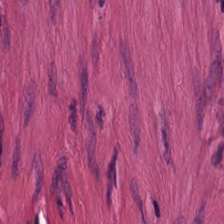H&E stain.
This patch shows smooth-muscle tissue.
